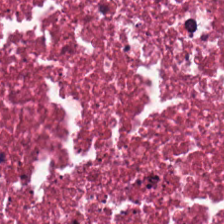Stain: H&E-stained tissue section.
Tissue: necrotic debris.
